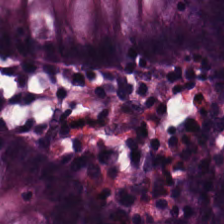Brightfield; H&E; 20× equivalent magnification — Tissue type — non-neoplastic colon mucosa.
